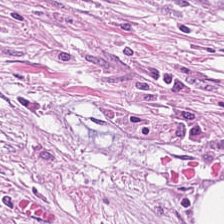224×224 px tile. Hematoxylin-and-eosin stained section. Formalin-fixed paraffin-embedded section.
Classification — tumor-associated stroma.
